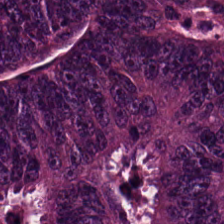The tissue here is tumor epithelium.
